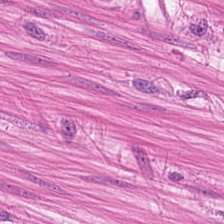Q: What is shown in this field?
A: The field shows muscularis.
